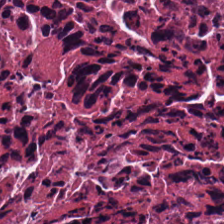0.5 µm per pixel · brightfield · hematoxylin-and-eosin stained section. The predominant tissue is debris.
